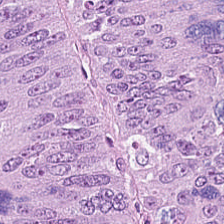Q: What tissue type is shown here?
A: The field shows colorectal adenocarcinoma.
